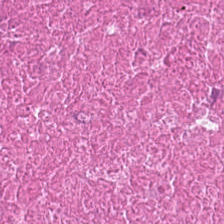H&E stain. Tissue — debris.
